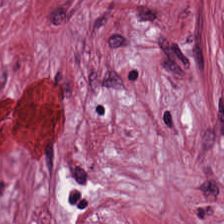Finding — cancer-associated stroma.
